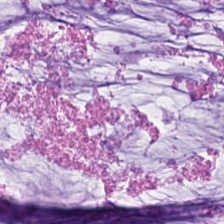Stain: H&E stain.
Acquisition: WSI patch.
Tile size: 224×224 px tile.
Classification: extracellular mucin.
